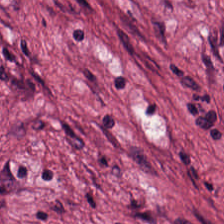Hematoxylin-and-eosin stained section; 224×224 px tile.
Tissue type: cancer-associated stroma.
